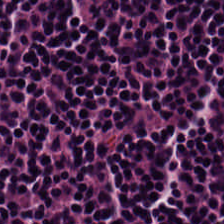Hematoxylin-and-eosin stained section — The predominant tissue is lymphoid infiltrate.
